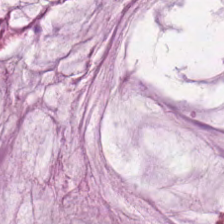224×224 px tile. H&E-stained tissue section. Whole-slide-image patch.
Impression → extracellular mucin.
